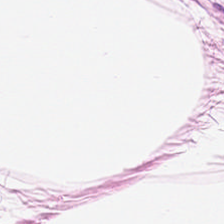H&E-stained tissue section — Showing fat tissue.
